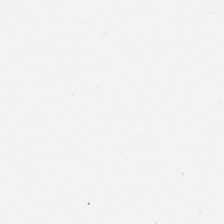This field is background (no tissue).
